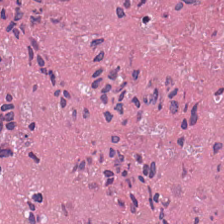H&E-stained tissue section. Q: Identify the tissue.
A: This is cellular debris.
